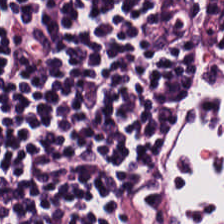H&E — Classification: lymphocytes.
